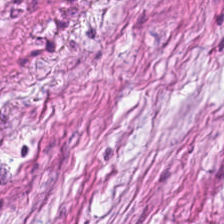20× equivalent magnification · brightfield · hematoxylin and eosin.
Histology → desmoplastic stroma.
